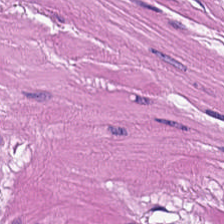H&E.
Q: What is shown here?
A: The field shows muscularis.
